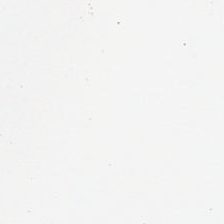H&E.
No tissue present; background only.
